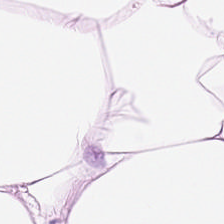H&E. The predominant tissue is adipocytes.
